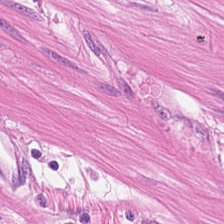Q: Classify this patch.
A: The field shows muscularis.
